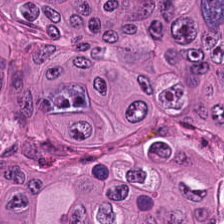Hematoxylin-and-eosin stained section. The classification is colorectal adenocarcinoma.
